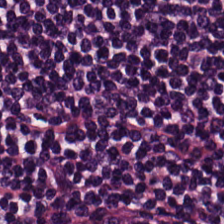H&E-stained tissue section — Impression — lymphocytes.
